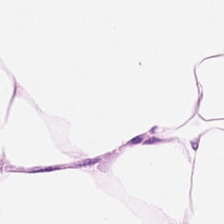Hematoxylin-and-eosin stained section. Fat tissue.
